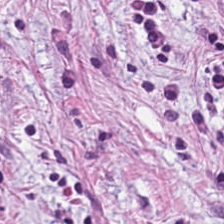Hematoxylin-and-eosin stained section. Q: Classify this patch.
A: This is desmoplastic stroma.
